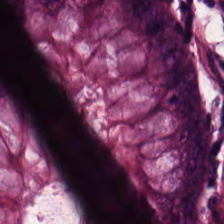Hematoxylin and eosin.
Q: What is shown in this field?
A: It is normal colon mucosa.
